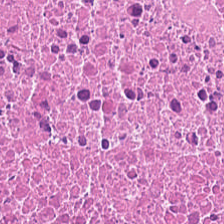Hematoxylin-and-eosin stained section; WSI patch; FFPE.
Predominantly cellular debris.
